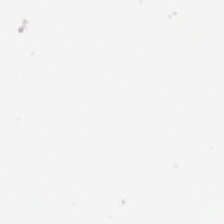224×224 px tile · H&E. Finding → empty background.
